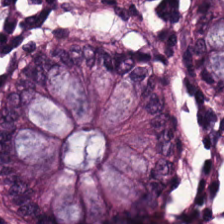20× equivalent magnification. H&E-stained tissue section.
The classification is non-neoplastic colon mucosa.
